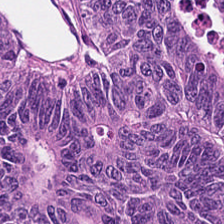H&E-stained tissue section · 0.5 µm per pixel · brightfield microscopy.
Histology → colorectal adenocarcinoma.
